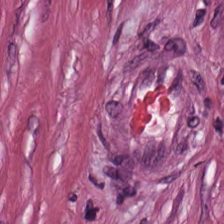Stain: H&E-stained tissue section.
Acquisition: brightfield microscopy.
Classification: tumor stroma.
